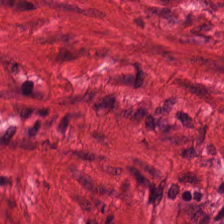Hematoxylin-and-eosin stained section; 0.5 microns per pixel.
Q: What is the predominant tissue type?
A: This is smooth-muscle tissue.
